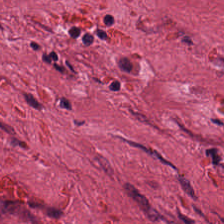This field is tumor-associated stroma.
